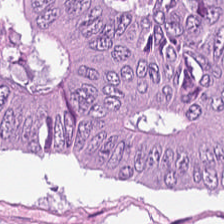Hematoxylin-and-eosin stained section — This field is colorectal adenocarcinoma.
